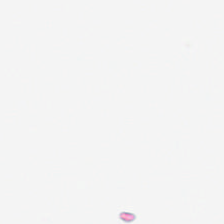H&E-stained tissue section. Q: Classify this patch.
A: The field shows background.
